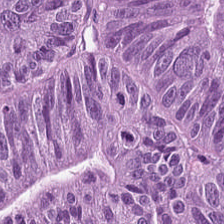H&E. 224×224 pixel tile — Impression → malignant epithelium.
